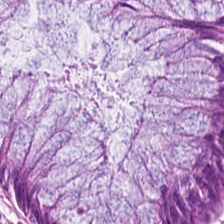Tissue class — normal colon mucosa.
